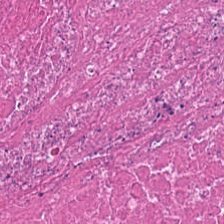H&E stain — Tissue = cellular debris.
